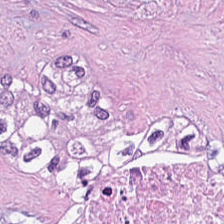0.5 µm/px · hematoxylin-and-eosin stained section.
This field is necrotic debris.
